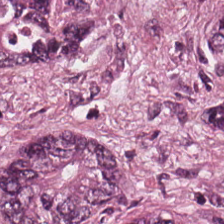H&E. Whole-slide-image patch. FFPE tissue section. Classification = tumor epithelium.
